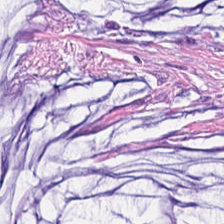0.5 µm per pixel · hematoxylin and eosin — Classification = tumor stroma.
